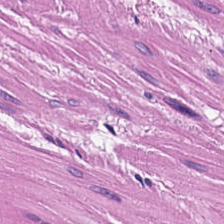H&E stain. Classification: smooth-muscle tissue.
